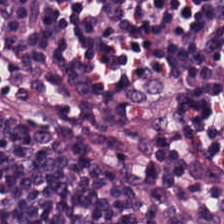224×224 pixel tile · H&E stain. Classification — lymphocyte aggregate.
